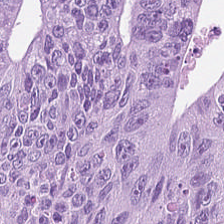Colorectal adenocarcinoma epithelium.
